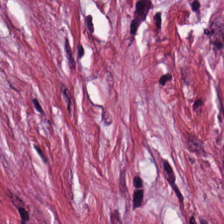Cancer-associated stroma.
